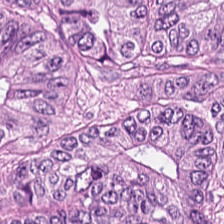H&E stain.
Q: What does this patch show?
A: Colorectal adenocarcinoma.
